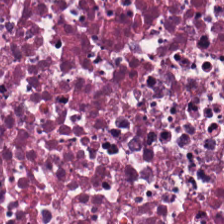Stain: H&E.
Tissue type: cellular debris.
